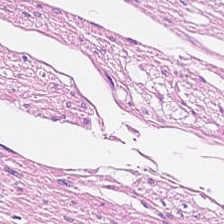H&E-stained tissue section — {"tissue_type": "smooth muscle"}
